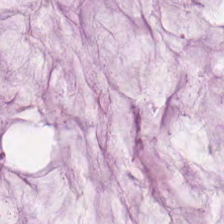Hematoxylin-and-eosin stained section.
Finding → extracellular mucin.
